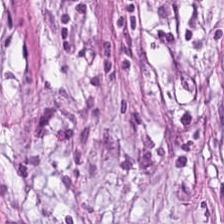H&E stain — {"tissue_type": "tumor-associated stroma"}
